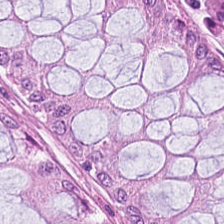Tissue type: normal colonic mucosa.
